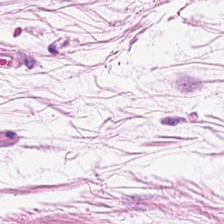H&E; 224×224 pixel tile.
The predominant tissue is adipose.
